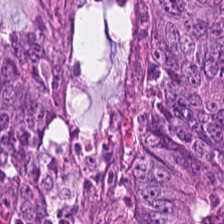Stain: hematoxylin-and-eosin stained section.
Tissue class: tumor epithelium.
